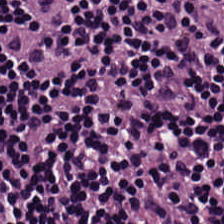Showing lymphocytic infiltrate.
